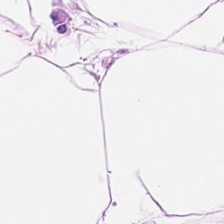Predominantly adipose.
